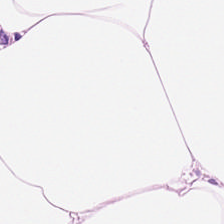Stain: H&E stain.
Tissue type: adipose tissue.
